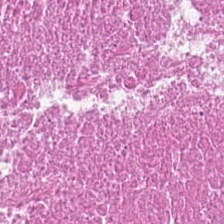H&E-stained tissue section. Showing necrotic debris.
